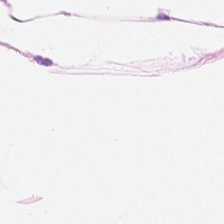H&E-stained tissue section. Predominantly adipose tissue.
